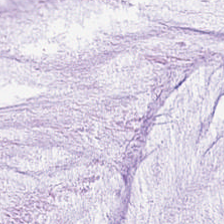Hematoxylin-and-eosin stained section.
This field is mucin.
